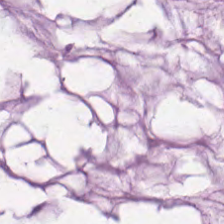0.5 µm per pixel. Hematoxylin-and-eosin stained section.
Q: What type of tissue is this?
A: It is extracellular mucin.
